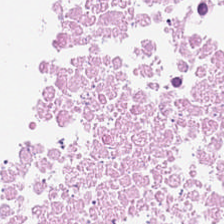The tissue class is cellular debris.
